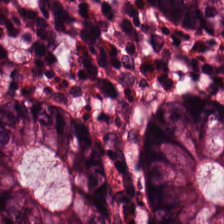Hematoxylin and eosin.
Q: What is shown here?
A: This is non-neoplastic colon mucosa.
